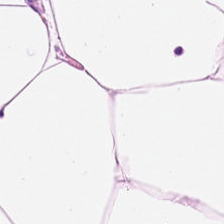0.5 microns per pixel. H&E-stained tissue section — Predominantly fat tissue.
